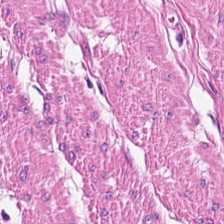H&E-stained tissue section · brightfield.
{"tissue_type": "muscularis"}
